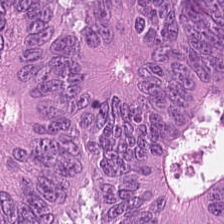H&E stain.
Tissue: malignant epithelium.
